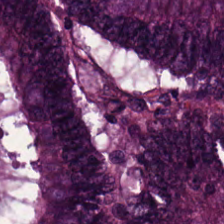Hematoxylin-and-eosin stained section. Tissue: colorectal adenocarcinoma.
